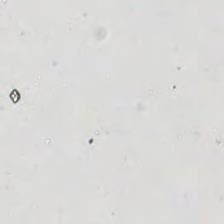Stain: H&E.
Preparation: FFPE.
Field content: empty background.
